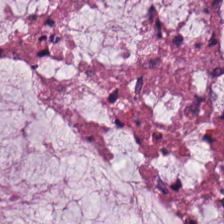Impression — extracellular mucin.
